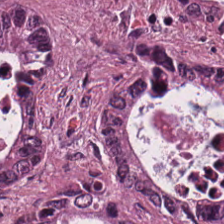H&E-stained tissue section — Tissue — tumor epithelium.
